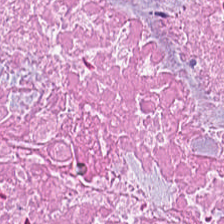Hematoxylin-and-eosin stained section.
Debris.
